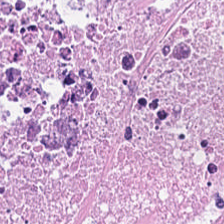Stain: hematoxylin-and-eosin stained section.
Predominant tissue: debris.
